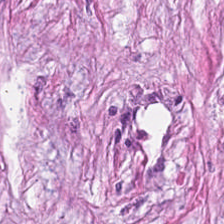Hematoxylin and eosin.
Q: What is shown in this field?
A: It is tumor stroma.
